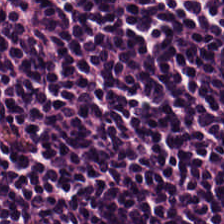0.5 µm per pixel; H&E-stained tissue section; formalin-fixed paraffin-embedded section.
The predominant tissue is lymphocyte aggregate.
